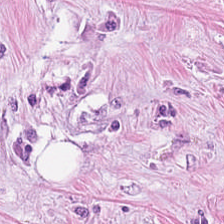H&E — desmoplastic stroma.
